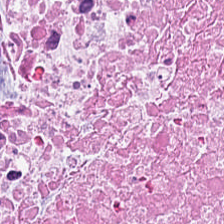H&E.
Tissue: cellular debris.
